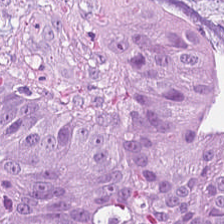Stain: H&E.
Tissue: tumor epithelium.
